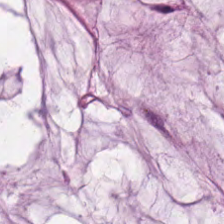The tissue type is mucin.
